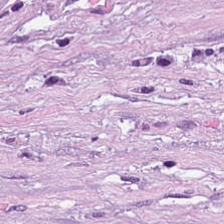This patch shows tumor stroma.
